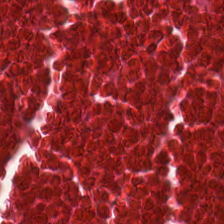Hematoxylin and eosin. Q: Identify the tissue.
A: Debris.
